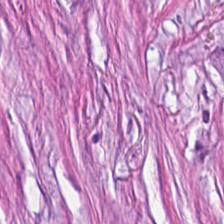Hematoxylin and eosin — This patch shows tumor stroma.
